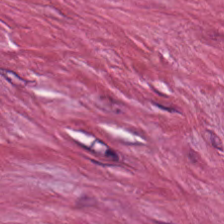Hematoxylin and eosin. 224×224 px tile. 20× equivalent magnification. Q: What does this patch show?
A: Tumor-associated stroma.
